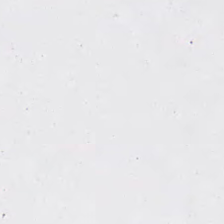H&E-stained tissue section; FFPE; 224×224 pixel tile. The classification is background (no tissue).
